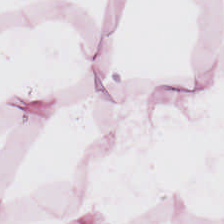Hematoxylin and eosin. Whole-slide-image patch.
Tissue: adipose.
